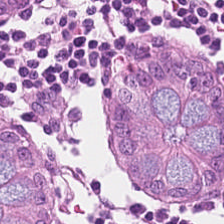H&E.
The predominant tissue is normal colonic mucosa.
